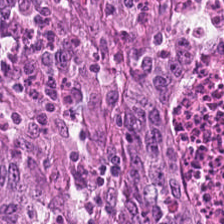Stain: hematoxylin-and-eosin stained section.
Resolution: 20× equivalent magnification.
Tissue type: adenocarcinoma.
